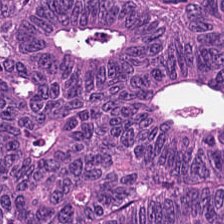H&E.
Adenocarcinoma.
